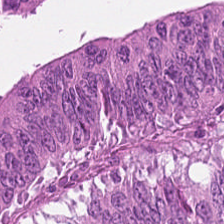0.5 microns per pixel · H&E.
Classification = malignant epithelium.
